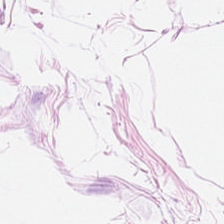Stain: H&E stain.
Tile size: 224×224 px tile.
Tissue type: adipose tissue.
